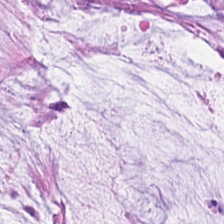Hematoxylin and eosin — Tissue class = extracellular mucin.
